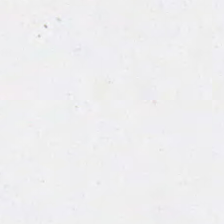Hematoxylin-and-eosin stained section. 224×224 px patch. Finding — background (no tissue).
